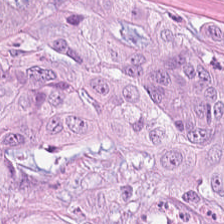H&E stain · whole-slide-image patch.
This patch shows tumor epithelium.
